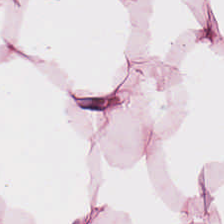H&E stain — Q: What tissue is shown?
A: It is adipose tissue.
